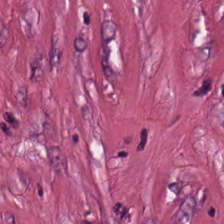Formalin-fixed paraffin-embedded section. H&E — This field is tumor-associated stroma.
